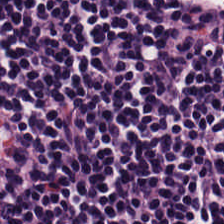H&E-stained tissue section showing lymphocytic infiltrate.
